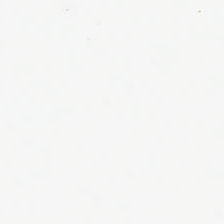H&E stain — Classification: empty background.
